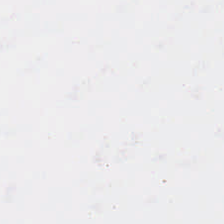Stain: H&E-stained tissue section.
Acquisition: brightfield microscopy.
Classification: background.
